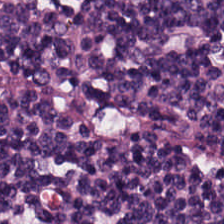Finding — lymphocytic infiltrate.
